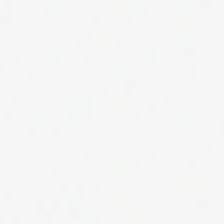Hematoxylin-and-eosin stained section. {"content": "no tissue"}
